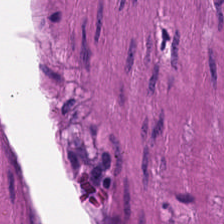224×224 pixel tile. Hematoxylin-and-eosin stained section. Q: What is shown here?
A: This is smooth muscle.
